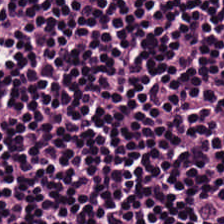Formalin-fixed paraffin-embedded section; H&E. Q: What type of tissue is this?
A: It is lymphocyte aggregate.
